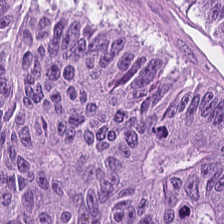Predominant tissue = colorectal adenocarcinoma.
